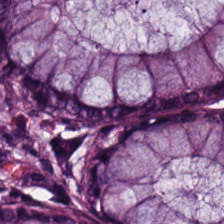Impression — normal colonic mucosa.
